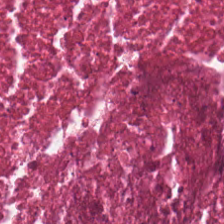Brightfield · hematoxylin and eosin.
The tissue here is debris.
